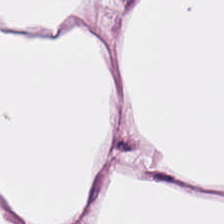0.5 µm/px; brightfield microscopy; hematoxylin-and-eosin stained section.
{"tissue_type": "adipocytes"}
